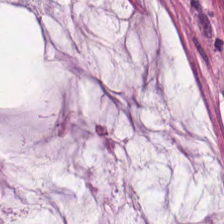0.5 microns per pixel. Hematoxylin and eosin. The predominant tissue is mucus.
